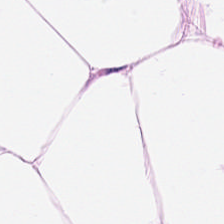H&E stain · whole-slide-image patch · 224×224 pixel tile — Q: What tissue type is shown here?
A: The field shows adipocytes.
